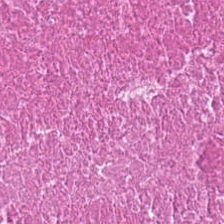Stain: H&E.
Tile size: 224×224 px tile.
Tissue type: cellular debris.
